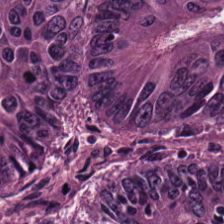H&E-stained tissue section. The tissue is colorectal adenocarcinoma.
